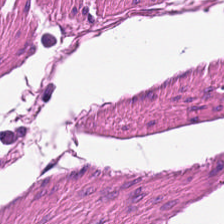H&E stain.
Histology → smooth-muscle tissue.
